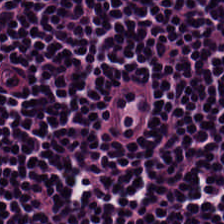Stain: H&E-stained tissue section.
Acquisition: whole-slide-image patch.
Tissue: lymphocyte aggregate.
